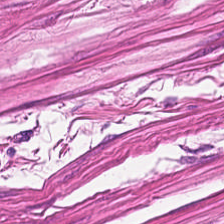{"tissue_type": "smooth muscle"}
